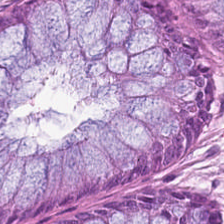H&E-stained tissue section · formalin-fixed paraffin-embedded section. Q: What tissue is shown?
A: Normal colon mucosa.
